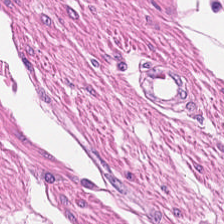FFPE tissue section · hematoxylin-and-eosin stained section.
Tissue type — smooth-muscle tissue.
